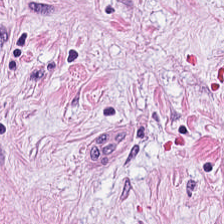H&E-stained tissue section showing desmoplastic stroma.
